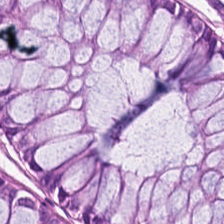Hematoxylin and eosin.
The tissue here is normal colonic mucosa.
